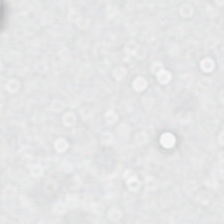Hematoxylin-and-eosin stained section. Histology → background.
